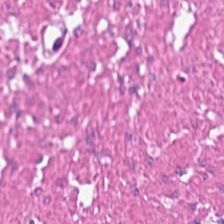Impression → smooth-muscle tissue.
